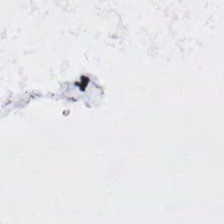Background.
